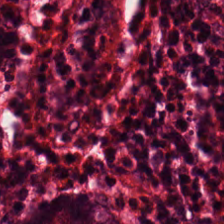Hematoxylin-and-eosin stained section — The predominant tissue is normal colonic mucosa.
